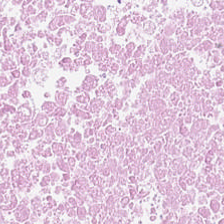20× equivalent magnification. 224×224 pixel tile. H&E-stained tissue section. This patch shows necrotic debris.
